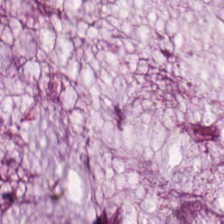Q: What tissue type is shown here?
A: It is extracellular mucin.
